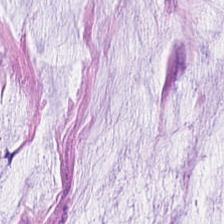H&E stain. Q: What tissue is shown?
A: This is mucin.
